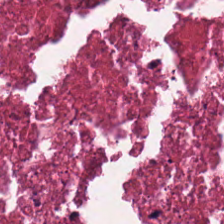H&E stain. This patch shows necrotic debris.
